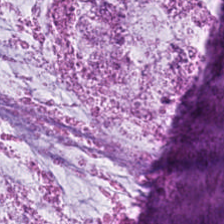This patch shows mucus.
